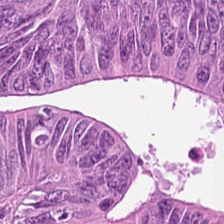Whole-slide-image patch · H&E stain — Q: What is shown here?
A: This is malignant epithelium.
